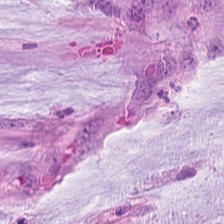Hematoxylin-and-eosin stained section. 224×224 px patch — Mucin.
